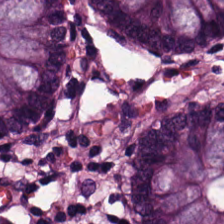Brightfield; hematoxylin-and-eosin stained section; 224×224 pixel tile.
This field is normal colon mucosa.
